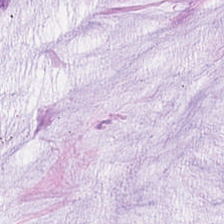Stain: H&E-stained tissue section.
Resolution: 20× equivalent magnification.
Tissue: mucus.
